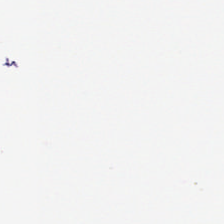H&E-stained tissue section — Impression — background.
